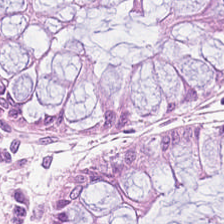Formalin-fixed paraffin-embedded section. H&E — Q: What is shown in this field?
A: It is normal colon mucosa.
